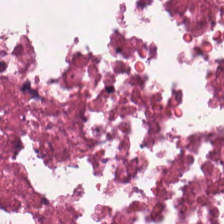H&E stain; 224×224 px tile.
Histology → debris.
